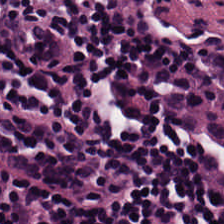H&E-stained tissue section — Showing lymphocytic infiltrate.
